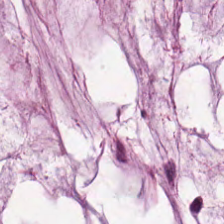H&E stain. 224×224 px tile. Q: What does this patch show?
A: It is extracellular mucin.
